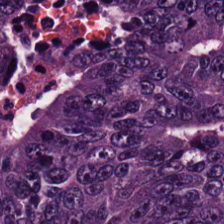Hematoxylin and eosin — Histology — tumor epithelium.
